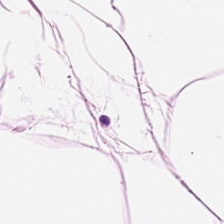Hematoxylin-and-eosin section: adipose.
